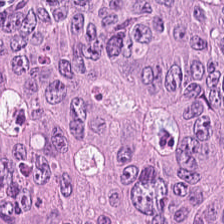H&E stain — Showing malignant epithelium.
